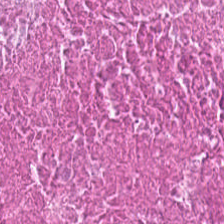H&E.
The predominant tissue is debris.
